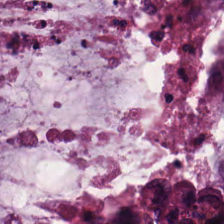Stain: H&E stain.
Acquisition: brightfield microscopy.
Tissue class: mucus.
